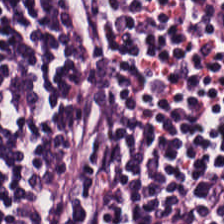This field is lymphocyte aggregate.
